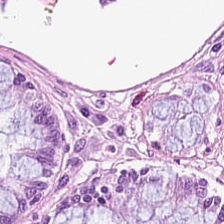H&E stain.
Tissue type: non-neoplastic colon mucosa.
